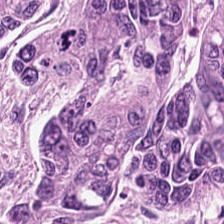WSI patch · FFPE tissue section · H&E-stained tissue section — The predominant tissue is adenocarcinoma.
